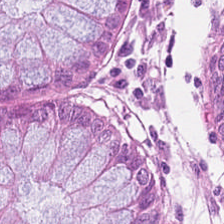H&E stain. Impression — normal colon mucosa.
